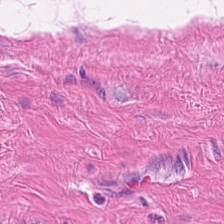Whole-slide-image patch. 224×224 px patch. Hematoxylin and eosin — The tissue here is muscularis.
